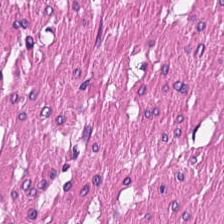Q: What tissue type is shown here?
A: This is smooth muscle.
